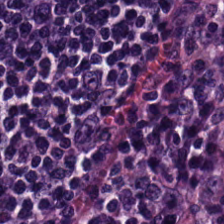Q: What tissue is shown?
A: The field shows lymphoid infiltrate.
